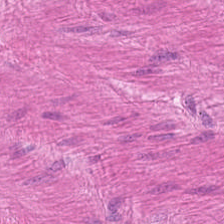Stain: hematoxylin-and-eosin stained section.
Predominant tissue: muscularis.
